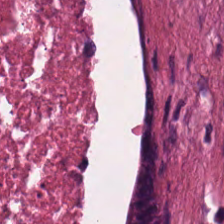224×224 pixel tile. H&E — Histology — cellular debris.
